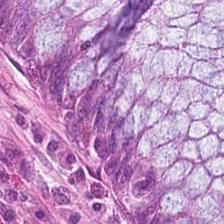H&E · FFPE tissue section.
The predominant tissue is normal colon mucosa.
